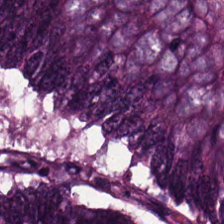H&E-stained tissue section · FFPE. Q: Identify the tissue.
A: It is tumor epithelium.
